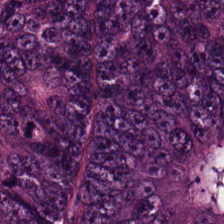H&E-stained tissue section. Histology → malignant epithelium.
